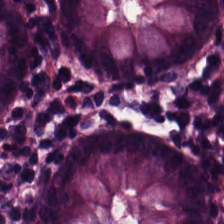H&E — The predominant tissue is normal colon mucosa.
